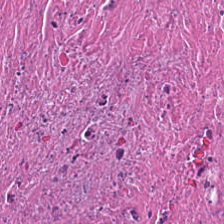Showing cellular debris.
